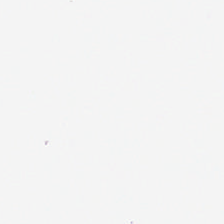Hematoxylin-and-eosin stained section.
Q: What is shown in this field?
A: It is no tissue.
